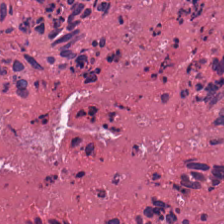Stain: hematoxylin and eosin.
Tissue class: necrotic debris.
